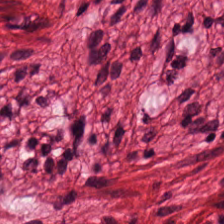H&E-stained tissue section — Muscularis.
